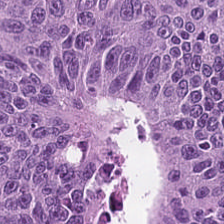H&E-stained tissue section. Impression — adenocarcinoma.
